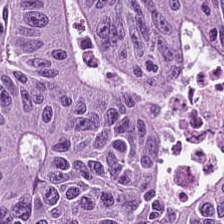Hematoxylin-and-eosin stained section — Tissue class — colorectal adenocarcinoma.
